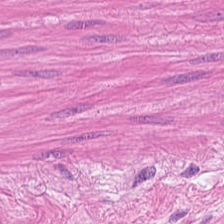Predominant tissue = smooth-muscle tissue.
